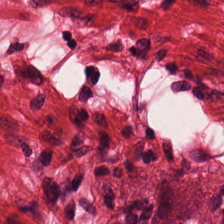H&E stain — Showing smooth muscle.
